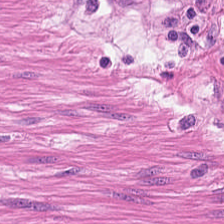The classification is smooth muscle.
